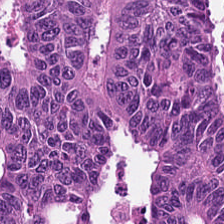0.5 µm/px · H&E-stained tissue section.
Predominantly tumor epithelium.
